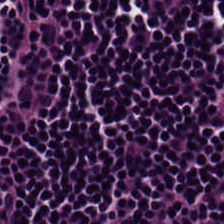H&E stain.
Tissue class: lymphocytic infiltrate.
